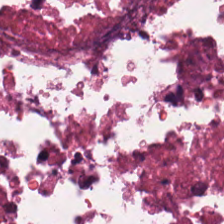Hematoxylin and eosin · 224×224 px tile. Q: Identify the tissue.
A: It is debris.
